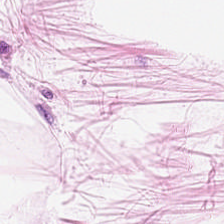0.5 µm per pixel; H&E stain. Predominantly adipocytes.
